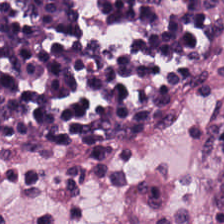H&E stain. {"tissue_type": "lymphocytic infiltrate"}
